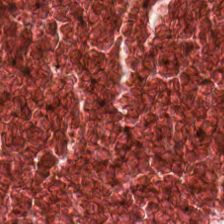H&E-stained section; the field shows cellular debris.
